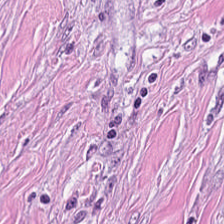Hematoxylin and eosin.
Predominantly tumor-associated stroma.
